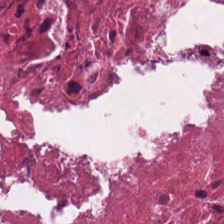Stain: hematoxylin and eosin.
Tissue type: necrotic debris.
